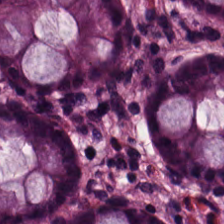Hematoxylin and eosin · brightfield microscopy · FFPE — Q: What tissue type is shown here?
A: This is benign colonic mucosa.
